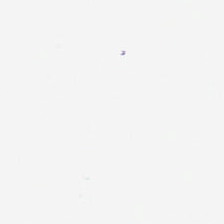Brightfield microscopy · H&E — This patch shows background (no tissue).
